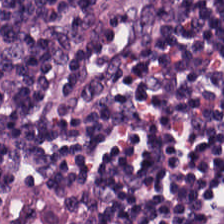Stain: H&E-stained tissue section.
Tissue type: lymphoid infiltrate.
